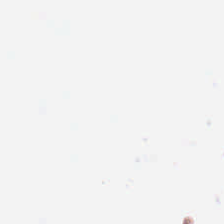Stain: hematoxylin-and-eosin stained section.
Resolution: 0.5 µm per pixel.
Field content: empty background.
